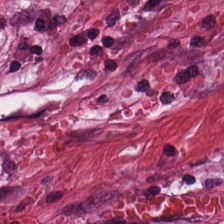H&E stain — Impression — cancer-associated stroma.
